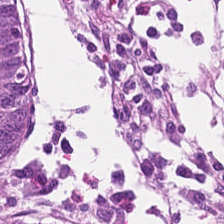Stain: H&E stain.
Tissue type: normal colon mucosa.
